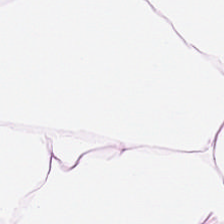H&E-stained tissue section — Q: What type of tissue is this?
A: The field shows adipose tissue.
